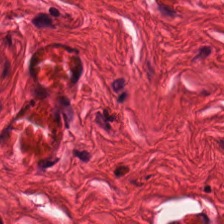Impression — muscularis.
